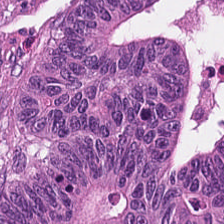H&E stain — Q: What tissue type is shown here?
A: The field shows colorectal adenocarcinoma.
